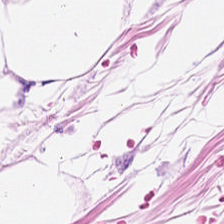Hematoxylin and eosin. 20× equivalent magnification. Q: Classify this patch.
A: This is adipose.
